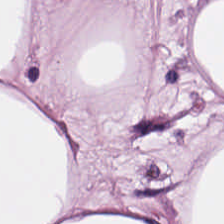0.5 microns per pixel · H&E stain · WSI patch.
Predominant tissue: adipose tissue.
